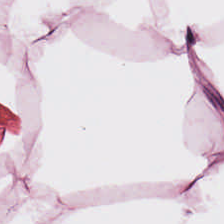H&E. Predominantly adipose tissue.
